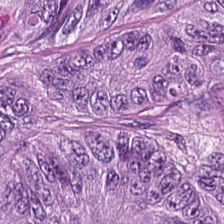H&E-stained tissue section.
Showing colorectal adenocarcinoma epithelium.
